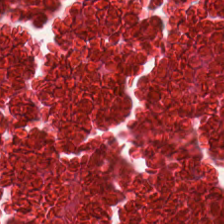Hematoxylin and eosin. Finding → debris.
